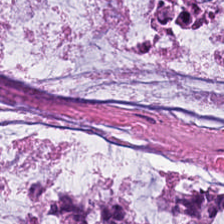20× equivalent magnification. H&E stain. Classification — mucin.
